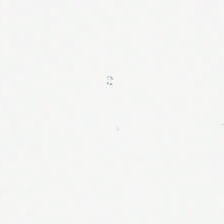This patch shows background.
